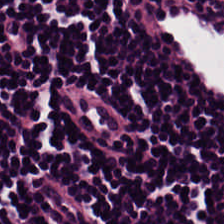Histology — lymphocytic infiltrate.
